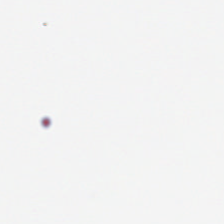Whole-slide-image patch · H&E-stained tissue section · 224×224 px patch.
Empty field — no tissue.
